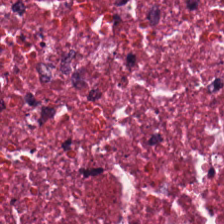FFPE tissue section. Hematoxylin-and-eosin stained section. Tissue type — cellular debris.
